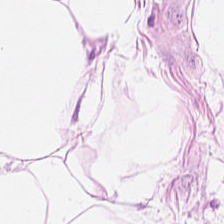Hematoxylin and eosin — The tissue here is adipocytes.
